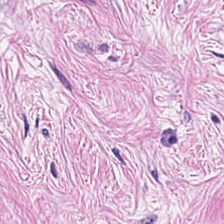Hematoxylin-and-eosin stained section. 0.5 µm/px.
Classification: desmoplastic stroma.
